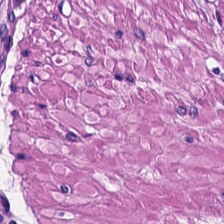H&E stain — This field is smooth-muscle tissue.
